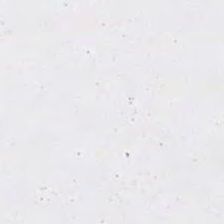H&E-stained tissue section. Field content — empty background.
